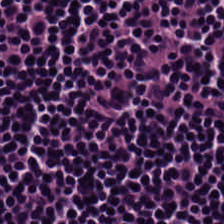Formalin-fixed paraffin-embedded section; hematoxylin-and-eosin stained section.
Lymphocyte aggregate.
